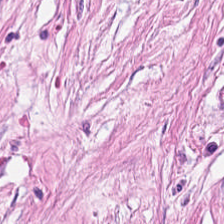Stain: hematoxylin-and-eosin stained section.
Tissue class: desmoplastic stroma.
